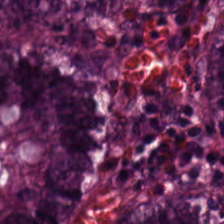H&E — Q: What type of tissue is this?
A: The field shows normal colon mucosa.
